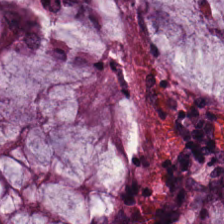H&E-stained tissue section · 224×224 pixel tile · FFPE tissue section.
Classification = non-neoplastic colon mucosa.
